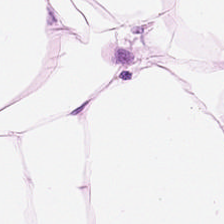Brightfield. H&E. Formalin-fixed paraffin-embedded section — Adipose tissue.
